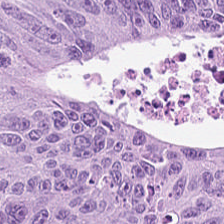Classification = colorectal adenocarcinoma.
